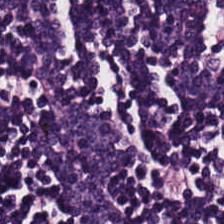This field is lymphocytic infiltrate.
